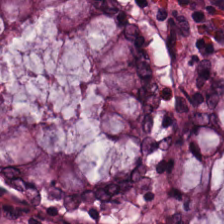H&E-stained tissue section — Showing non-neoplastic colon mucosa.
